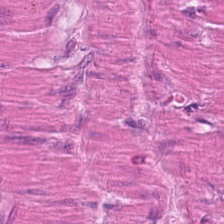Finding — smooth muscle.
